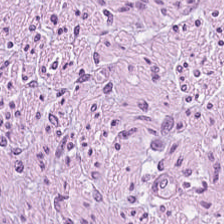H&E — desmoplastic stroma.
